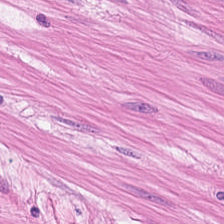Hematoxylin and eosin.
The tissue class is smooth-muscle tissue.
